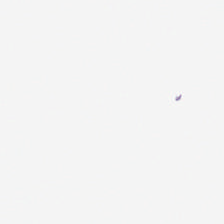Background — no tissue in this field.
